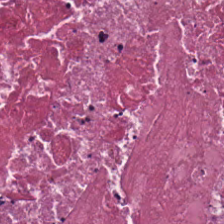The tissue class is necrotic debris.
